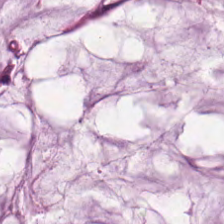Brightfield · hematoxylin and eosin · 0.5 µm/px.
Tissue: extracellular mucin.
